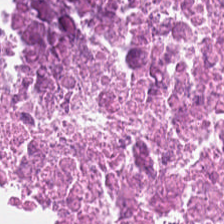Stain: H&E.
Classification: necrotic debris.
